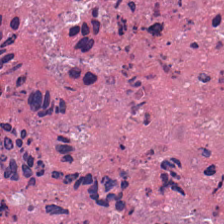H&E.
Q: What tissue is shown?
A: The field shows necrotic debris.
